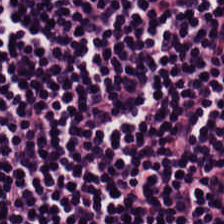H&E. 0.5 microns per pixel. 224×224 px tile. {"tissue_type": "lymphoid infiltrate"}
